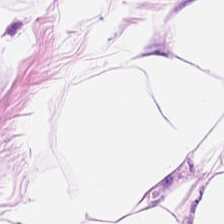Stain: hematoxylin and eosin.
Acquisition: WSI patch.
Tissue type: adipocytes.
